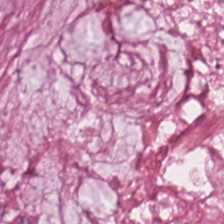Predominant tissue — mucin.
